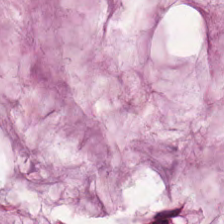Brightfield; H&E. Finding → mucin.
